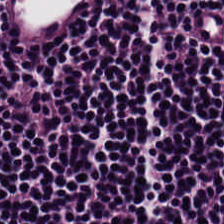WSI patch. 224×224 px tile. Hematoxylin-and-eosin stained section.
Tissue type = lymphocytic infiltrate.
